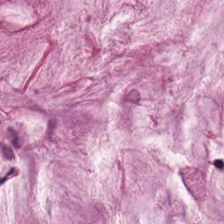H&E-stained tissue section. The tissue here is extracellular mucin.
